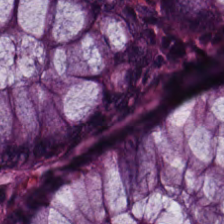Stain: hematoxylin and eosin.
Resolution: 20× equivalent magnification.
Tile size: 224×224 px tile.
Tissue class: non-neoplastic colon mucosa.
